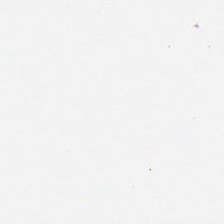Hematoxylin and eosin. 224×224 px tile. Q: What is shown here?
A: Background.
